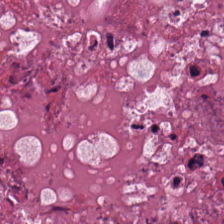Stain: hematoxylin-and-eosin stained section.
Resolution: 0.5 µm per pixel.
Preparation: formalin-fixed paraffin-embedded section.
Tissue: necrotic debris.
